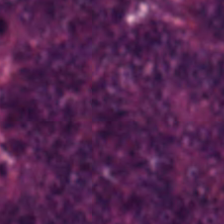FFPE. H&E stain. Classification = adenocarcinoma.
